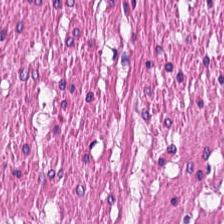Stain: hematoxylin and eosin.
Preparation: formalin-fixed paraffin-embedded section.
Tissue class: smooth-muscle tissue.
